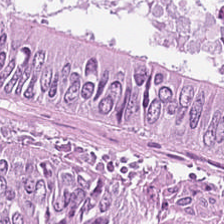Hematoxylin and eosin; 224×224 px tile.
Histology → malignant epithelium.
